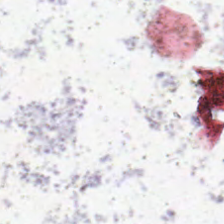Hematoxylin and eosin — Background.
